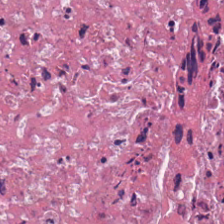0.5 µm per pixel. H&E.
Impression → cellular debris.
